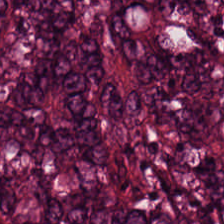Tissue type: adenocarcinoma.
